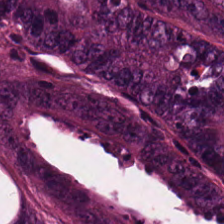224×224 px tile. H&E — Q: What tissue is shown?
A: This is adenocarcinoma.
